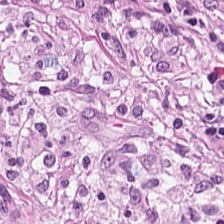Stain: H&E stain.
Classification: desmoplastic stroma.
